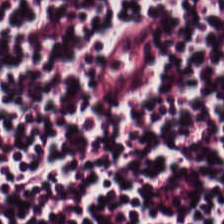H&E stain. Formalin-fixed paraffin-embedded section. The classification is lymphoid infiltrate.
